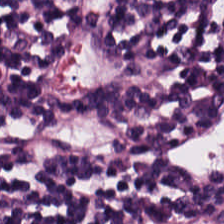H&E; FFPE tissue section; 224×224 px patch. Histology → lymphoid infiltrate.
